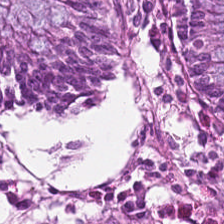Hematoxylin and eosin; brightfield.
Showing normal colon mucosa.
